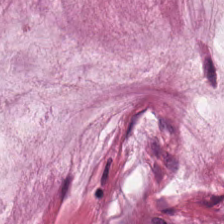H&E stain — Extracellular mucin.
